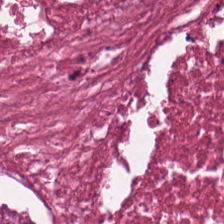Tissue class: debris.
